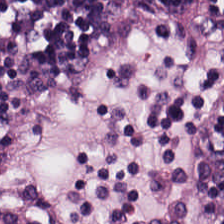H&E stain. Finding → lymphocytes.
